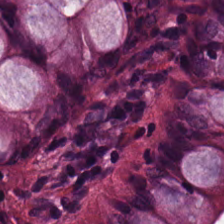224×224 px patch. H&E-stained tissue section.
This patch shows normal colonic mucosa.
